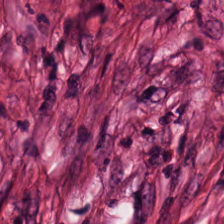Stain: hematoxylin and eosin.
Tissue class: tumor-associated stroma.
